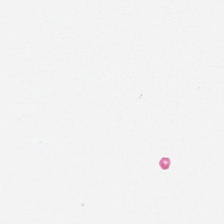H&E stain — Classification — background.
